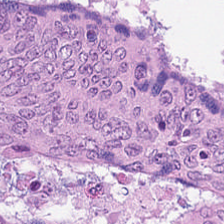Hematoxylin and eosin.
Predominantly colorectal adenocarcinoma epithelium.
